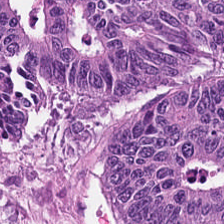H&E stain — Tumor epithelium.
